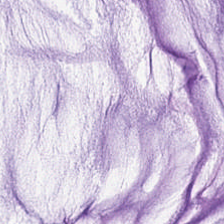H&E.
Showing mucus.
